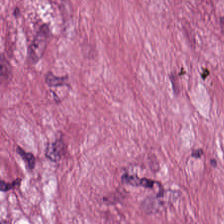H&E. This field is tumor-associated stroma.
